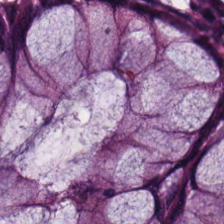Brightfield; H&E stain — The tissue here is non-neoplastic colon mucosa.
